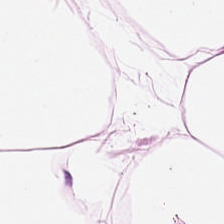H&E. 224×224 px patch. Brightfield microscopy — Predominant tissue = adipocytes.
